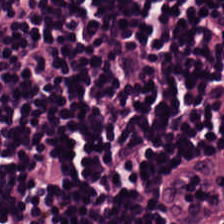H&E — lymphoid infiltrate.
